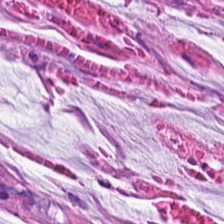Hematoxylin and eosin.
{"tissue_type": "extracellular mucin"}
